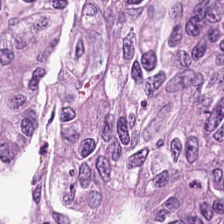FFPE tissue section; H&E-stained tissue section. This field is adenocarcinoma.
